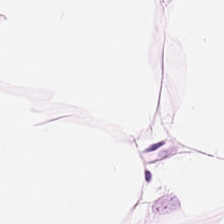Hematoxylin-and-eosin section: adipocytes.
